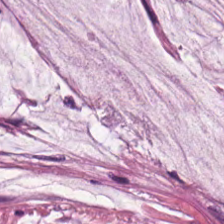Hematoxylin-and-eosin stained section.
The tissue class is mucin.
